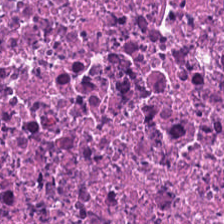H&E · brightfield.
Q: What type of tissue is this?
A: This is debris.
